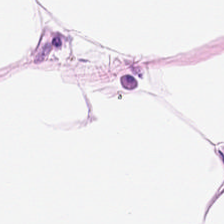FFPE tissue section · H&E-stained tissue section · 224×224 pixel tile — Fat tissue.
